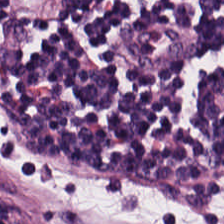Showing lymphocyte aggregate.
